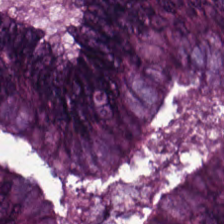Colorectal adenocarcinoma epithelium.
